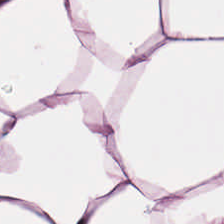Brightfield; hematoxylin and eosin — This patch shows adipocytes.
